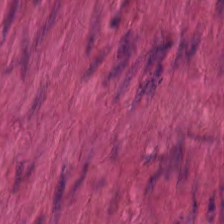Stain: hematoxylin and eosin.
Tissue type: smooth muscle.
